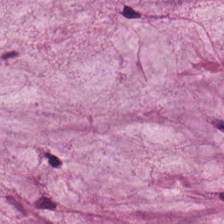Hematoxylin-and-eosin stained section — The classification is mucin.
